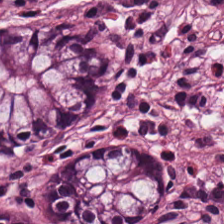Hematoxylin-and-eosin stained section — Q: What is shown here?
A: This is benign colonic mucosa.
